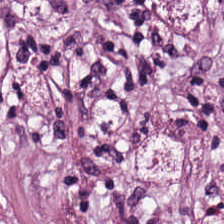224×224 pixel tile. 0.5 microns per pixel. H&E-stained tissue section — This patch shows tumor stroma.
